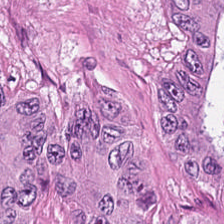Hematoxylin and eosin; brightfield.
{"tissue_type": "adenocarcinoma"}
